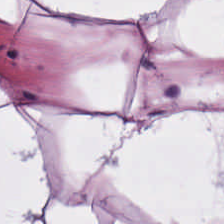Hematoxylin and eosin.
This field is adipocytes.
